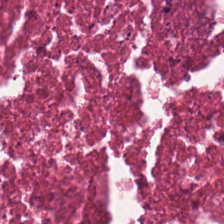Stain: hematoxylin-and-eosin stained section.
Tissue type: cellular debris.
